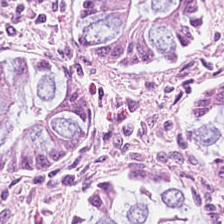H&E-stained tissue section showing non-neoplastic colon mucosa.
